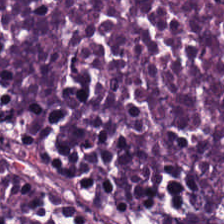H&E-stained tissue section · 224×224 px tile. Q: What does this patch show?
A: This is debris.
